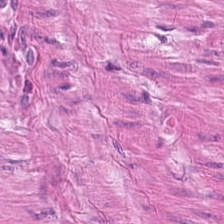Brightfield. H&E-stained tissue section.
This field is smooth muscle.
